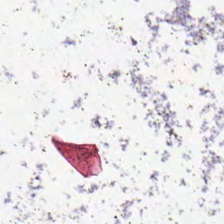This patch shows no tissue.
